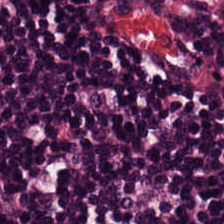Stain: H&E-stained tissue section.
Acquisition: whole-slide-image patch.
Classification: lymphoid infiltrate.
